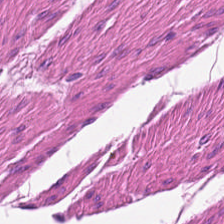H&E-stained tissue section; 224×224 pixel tile.
This patch shows smooth-muscle tissue.
